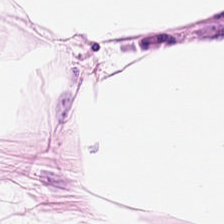Formalin-fixed paraffin-embedded section · H&E-stained tissue section — Tissue: fat tissue.
